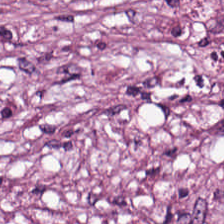224×224 px tile; H&E.
Q: Classify this patch.
A: Tumor-associated stroma.
